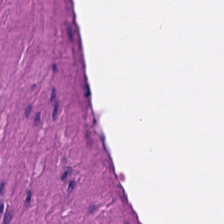224×224 px tile; 0.5 microns per pixel; H&E-stained tissue section.
Smooth-muscle tissue.
